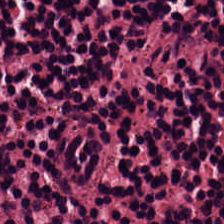This patch shows lymphocyte aggregate.
